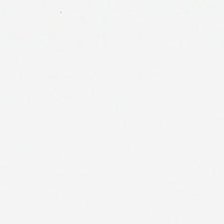Hematoxylin and eosin.
No tissue present; background only.
